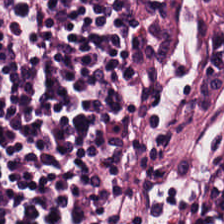Showing lymphocytic infiltrate.
